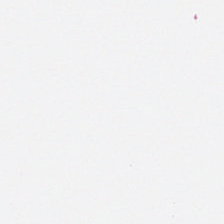H&E stain — No tissue.
